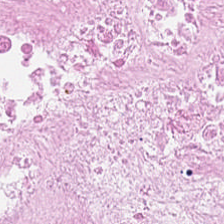H&E-stained tissue section.
{"tissue_type": "necrotic debris"}
